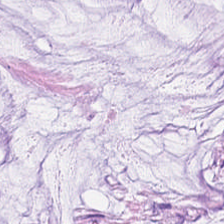FFPE tissue section · 224×224 px tile · H&E-stained tissue section. Finding — mucin.
